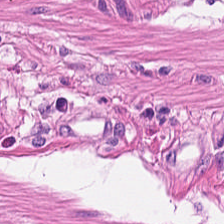H&E stain. Q: Classify this patch.
A: The field shows smooth muscle.
